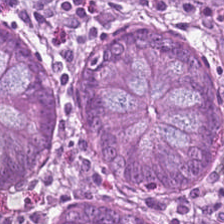H&E stain — Histology — non-neoplastic colon mucosa.
